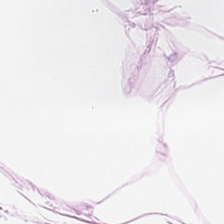Brightfield · 0.5 µm/px · H&E-stained tissue section.
Predominantly adipose tissue.
